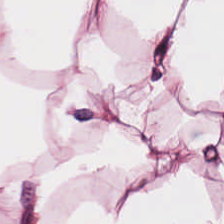Q: What tissue is shown?
A: This is adipose.
